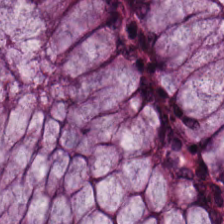Hematoxylin-and-eosin stained section. The tissue class is normal colonic mucosa.
